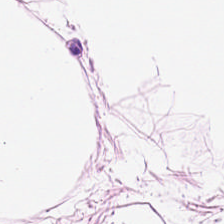0.5 microns per pixel · H&E-stained tissue section · WSI patch — Showing adipose tissue.
